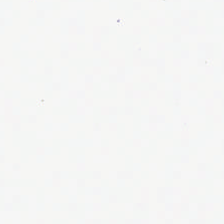Field content — empty background.
